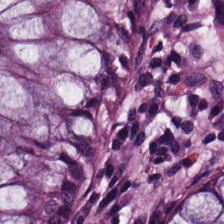The predominant tissue is normal colon mucosa.
